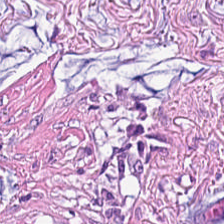0.5 microns per pixel; hematoxylin and eosin — Showing tumor stroma.
